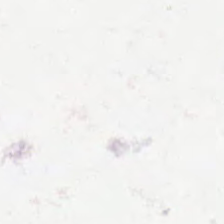H&E. Brightfield microscopy. 0.5 µm/px.
Q: What is shown in this field?
A: No tissue.
